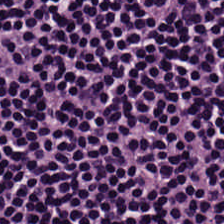Hematoxylin and eosin. FFPE tissue section. The tissue class is lymphocyte aggregate.
